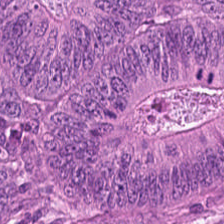Hematoxylin-and-eosin stained section — Q: What is shown here?
A: This is adenocarcinoma.
